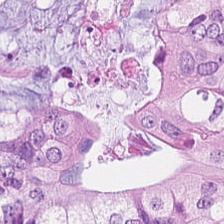H&E stain. This field is malignant epithelium.
